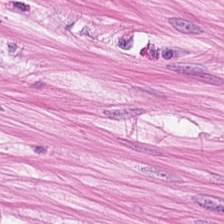Hematoxylin and eosin. Q: What is shown here?
A: Smooth-muscle tissue.
